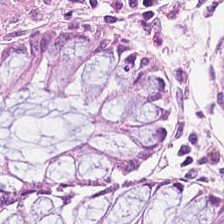Stain: H&E-stained tissue section.
Preparation: FFPE tissue section.
Tissue type: normal colon mucosa.
